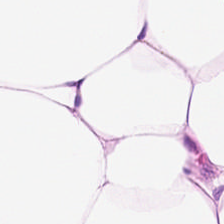Stain: H&E stain.
Classification: fat tissue.
